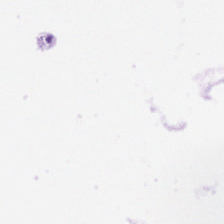H&E stain · FFPE tissue section — No tissue present; background only.
